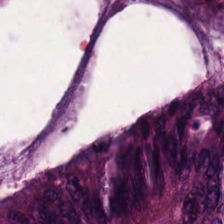Hematoxylin-and-eosin stained section; 20× equivalent magnification. Impression — tumor epithelium.
